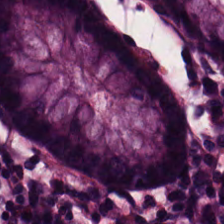FFPE tissue section · hematoxylin-and-eosin stained section. Tissue type — normal colonic mucosa.
